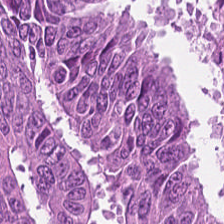Hematoxylin and eosin; 224×224 pixel tile; FFPE. Classification = colorectal adenocarcinoma.
